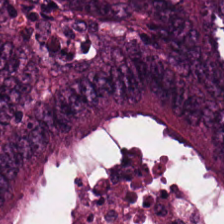Tissue class — malignant epithelium.
